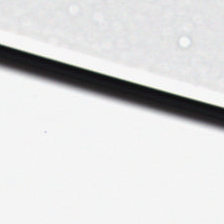H&E-stained tissue section; 0.5 microns per pixel — {"content": "no tissue"}
